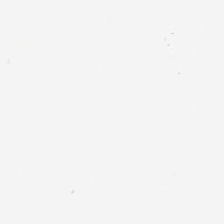This field is background (no tissue).
